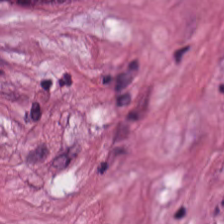The tissue type is cancer-associated stroma.
